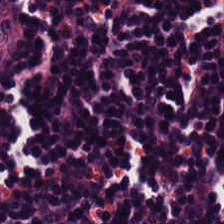H&E stain — Q: Identify the tissue.
A: Lymphocytic infiltrate.
